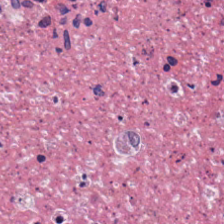Brightfield microscopy · FFPE tissue section · hematoxylin-and-eosin stained section — Tissue — cellular debris.
